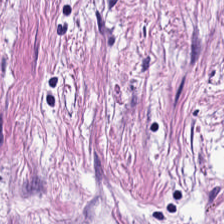H&E-stained tissue section · 224×224 px patch · FFPE. Showing cancer-associated stroma.
